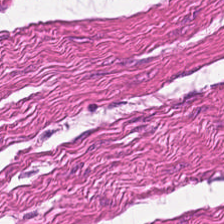Stain: hematoxylin-and-eosin stained section.
Tissue: smooth muscle.
